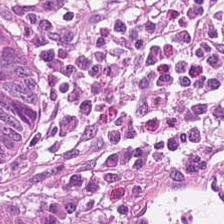Impression → tumor epithelium.
